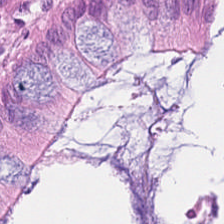Hematoxylin-and-eosin stained section; WSI patch — The classification is non-neoplastic colon mucosa.
